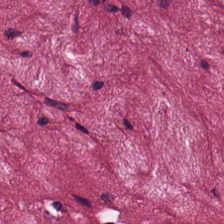Tissue = desmoplastic stroma.
